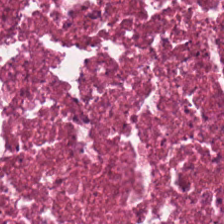This patch shows necrotic debris.
